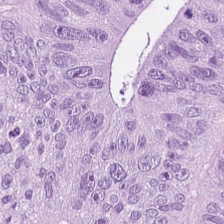H&E. 224×224 pixel tile.
Predominantly colorectal adenocarcinoma epithelium.
